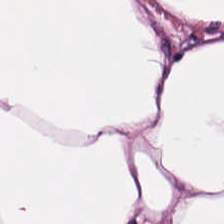Adipocytes.
